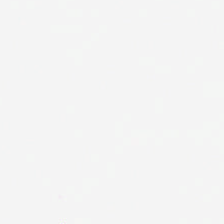The classification is background (no tissue).
